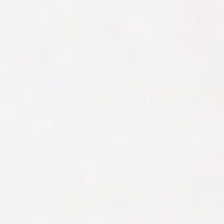Background — no tissue in this field.
